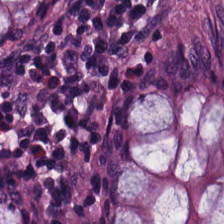Hematoxylin-and-eosin stained section.
The tissue here is non-neoplastic colon mucosa.
